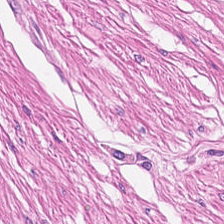H&E — The tissue is smooth-muscle tissue.
